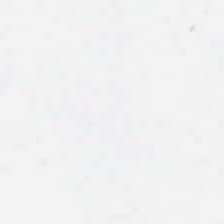This patch shows empty background.
